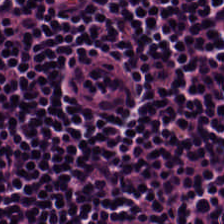20× equivalent magnification. H&E-stained tissue section. Formalin-fixed paraffin-embedded section — This patch shows lymphocytes.
